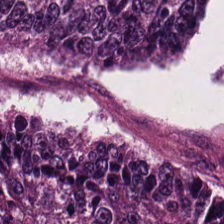Q: What does this patch show?
A: It is malignant epithelium.
